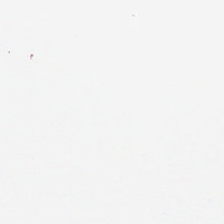H&E stain — Classification = background (no tissue).
